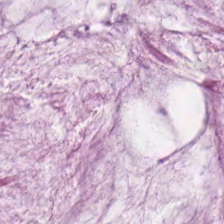Hematoxylin and eosin. Predominantly extracellular mucin.
